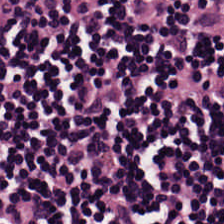Hematoxylin-and-eosin stained section — Tissue type = lymphocytic infiltrate.
